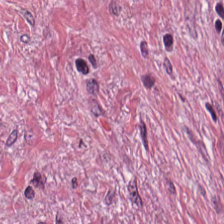WSI patch. H&E-stained tissue section.
Q: What type of tissue is this?
A: Desmoplastic stroma.
